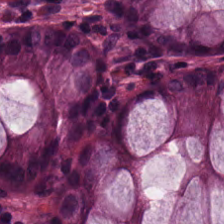Stain: H&E.
Acquisition: brightfield microscopy.
Classification: normal colon mucosa.
